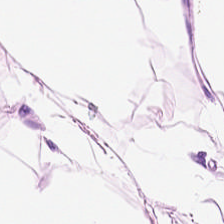H&E stain.
Finding → adipose tissue.
